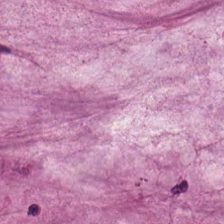The tissue here is extracellular mucin.
